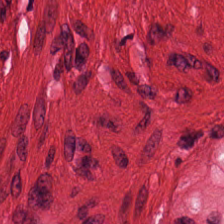Formalin-fixed paraffin-embedded section. H&E. 0.5 µm per pixel — Tissue class = smooth muscle.
